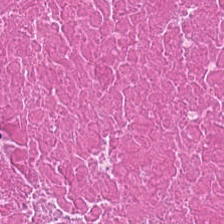H&E stain.
Predominantly necrotic debris.
